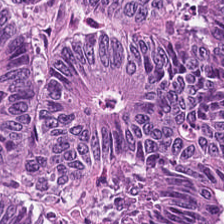Hematoxylin and eosin.
The predominant tissue is malignant epithelium.
